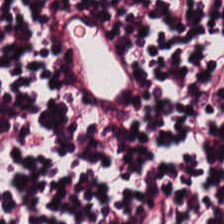Hematoxylin-and-eosin stained section — Predominant tissue = lymphocytes.
